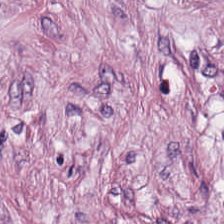Hematoxylin and eosin.
Tumor stroma.
